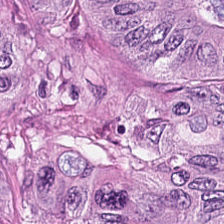This field is colorectal adenocarcinoma epithelium.
